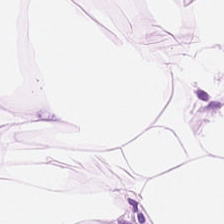Hematoxylin-and-eosin stained section — Tissue: adipose tissue.
